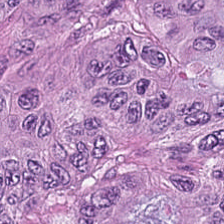The predominant tissue is tumor epithelium.
